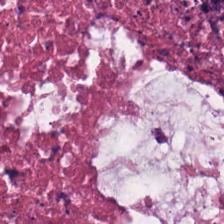H&E-stained tissue section. Tissue class = cellular debris.
